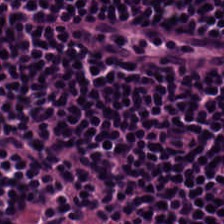224×224 pixel tile · H&E stain · WSI patch.
This patch shows lymphocytes.
